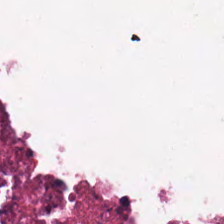This patch shows necrotic debris.
